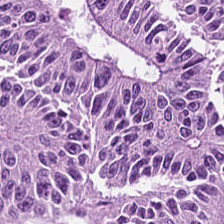H&E.
{"tissue_type": "adenocarcinoma"}
